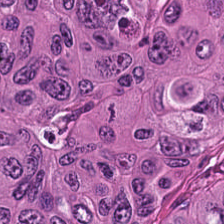Stain: H&E-stained tissue section.
Preparation: formalin-fixed paraffin-embedded section.
Tissue: colorectal adenocarcinoma.
